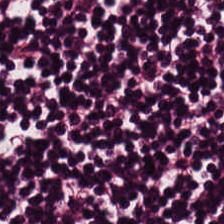Histology → lymphocytic infiltrate.
